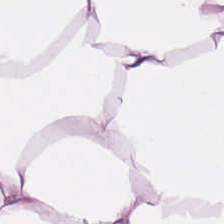H&E-stained tissue section. Tissue type: fat tissue.
